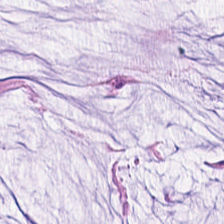Q: What does this patch show?
A: Extracellular mucin.
